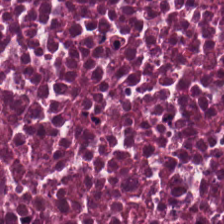Tissue class: necrotic debris.
